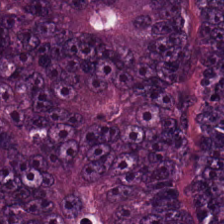H&E — The predominant tissue is adenocarcinoma.
